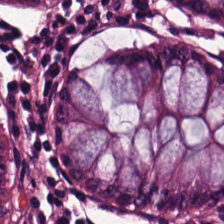Brightfield; hematoxylin-and-eosin stained section — The tissue here is normal colonic mucosa.
